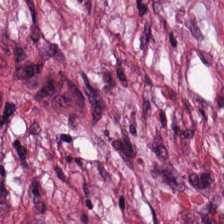H&E-stained tissue section.
This field is cancer-associated stroma.
